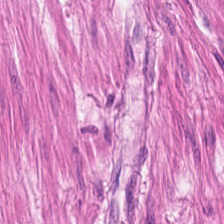Hematoxylin and eosin; formalin-fixed paraffin-embedded section.
The predominant tissue is muscularis.
